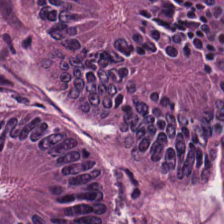H&E — Tissue class = colorectal adenocarcinoma epithelium.
